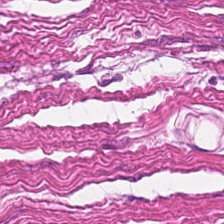H&E stain · FFPE.
Q: Classify this patch.
A: Smooth-muscle tissue.
